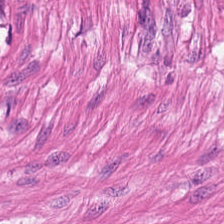Q: What type of tissue is this?
A: It is smooth-muscle tissue.
